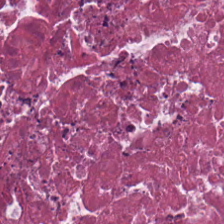H&E-stained tissue section.
Predominant tissue = debris.
